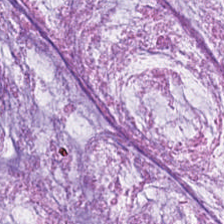Hematoxylin-and-eosin section: mucin.
